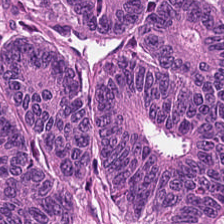Tissue type — tumor epithelium.
